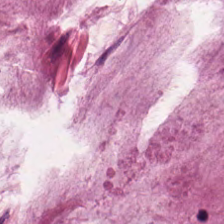224×224 px tile. H&E.
Classification — extracellular mucin.
